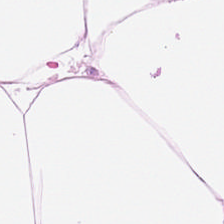Hematoxylin-and-eosin stained section — This field is fat tissue.
